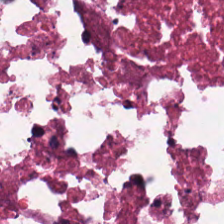H&E. Brightfield microscopy — Tissue type: cellular debris.
